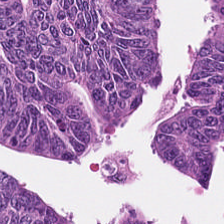0.5 µm per pixel; H&E — The predominant tissue is colorectal adenocarcinoma epithelium.
